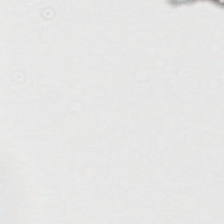224×224 pixel tile; brightfield microscopy; H&E stain.
This patch shows background (no tissue).
